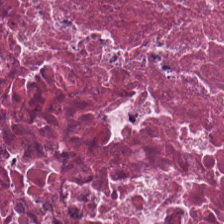Hematoxylin-and-eosin section: cellular debris.
